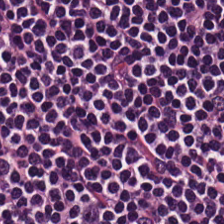Stain: H&E-stained tissue section.
Tissue type: lymphoid infiltrate.
